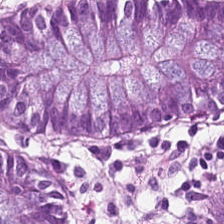H&E-stained section; the field shows non-neoplastic colon mucosa.
